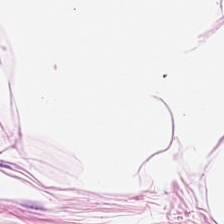224×224 pixel tile; 0.5 µm per pixel; hematoxylin-and-eosin stained section. The tissue here is adipose.
